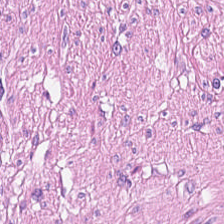H&E stain.
Predominantly smooth muscle.
